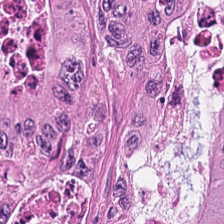Brightfield microscopy. Hematoxylin and eosin. The tissue is colorectal adenocarcinoma epithelium.
